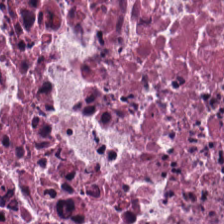Hematoxylin and eosin. Histology — cellular debris.
